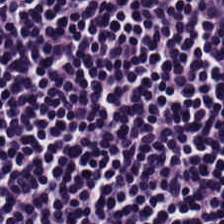Q: What is the predominant tissue type?
A: The field shows lymphocytes.
